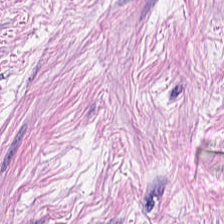Formalin-fixed paraffin-embedded section · H&E stain — This field is tumor stroma.
